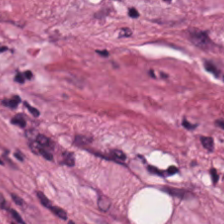The predominant tissue is desmoplastic stroma.
